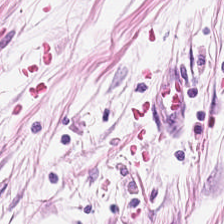Q: What does this patch show?
A: The field shows fat tissue.
